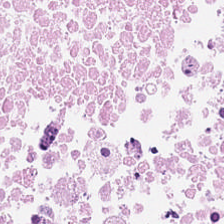Q: Identify the tissue.
A: The field shows debris.
